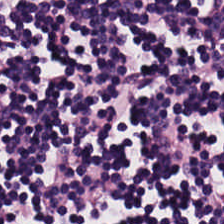Brightfield microscopy. Hematoxylin and eosin.
Classification — lymphocytic infiltrate.
